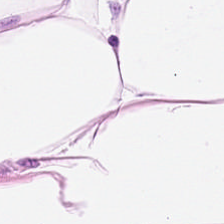Hematoxylin and eosin.
Tissue: adipocytes.
